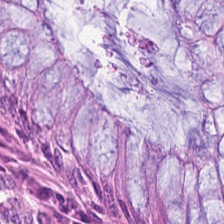Q: What is shown in this field?
A: The field shows benign colonic mucosa.
